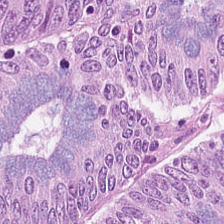FFPE tissue section. H&E. Q: What tissue type is shown here?
A: Tumor epithelium.
